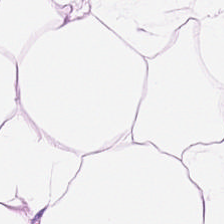H&E stain. 224×224 pixel tile.
Finding → adipocytes.
